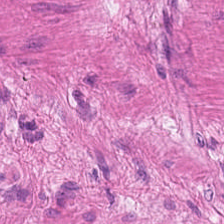Brightfield · H&E stain — Smooth muscle.
